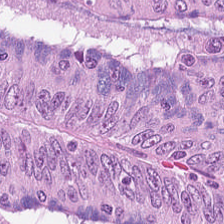FFPE; H&E stain.
Showing colorectal adenocarcinoma epithelium.
